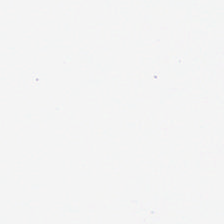Content — empty background.
